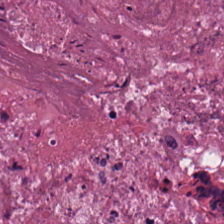Q: What type of tissue is this?
A: It is debris.
